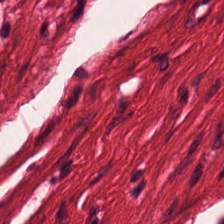Hematoxylin-and-eosin stained section.
{"tissue_type": "smooth muscle"}
